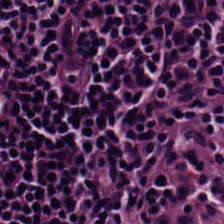Stain: H&E.
Tissue: lymphocyte aggregate.
